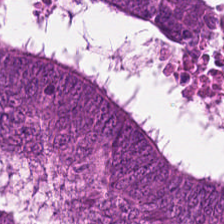Showing colorectal adenocarcinoma.
